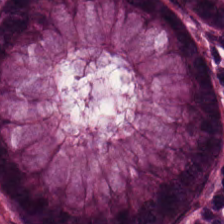Hematoxylin and eosin. {"tissue_type": "normal colonic mucosa"}
